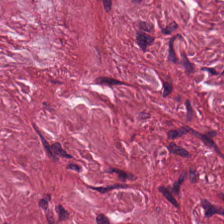Hematoxylin and eosin.
The tissue here is tumor stroma.
